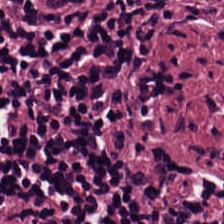224×224 px tile; H&E. Q: What is shown here?
A: This is lymphoid infiltrate.
